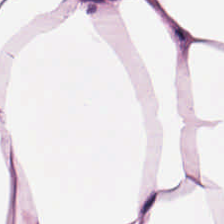Hematoxylin-and-eosin stained section.
Histology → adipocytes.
